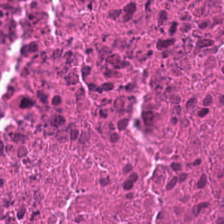FFPE; hematoxylin-and-eosin stained section; brightfield microscopy — Tissue type — cellular debris.
